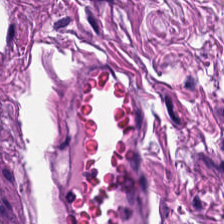Hematoxylin-and-eosin stained section; 0.5 microns per pixel; 224×224 pixel tile. Q: What does this patch show?
A: This is smooth muscle.
